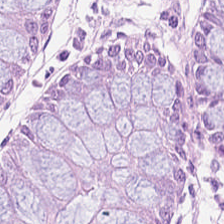Hematoxylin-and-eosin stained section · 224×224 px patch — The tissue is non-neoplastic colon mucosa.
